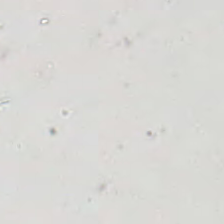Hematoxylin-and-eosin stained section. Field content: no tissue.
